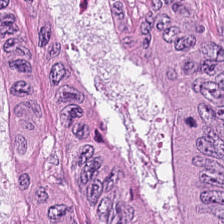H&E — Predominant tissue: adenocarcinoma.
